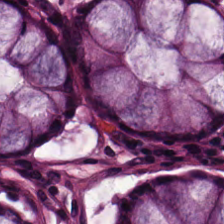Hematoxylin-and-eosin section: non-neoplastic colon mucosa.
